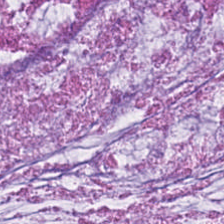Hematoxylin and eosin; 224×224 px patch; 20× equivalent magnification.
Tissue type — mucus.
